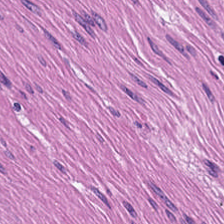Stain: hematoxylin and eosin.
Resolution: 0.5 µm per pixel.
Tile size: 224×224 pixel tile.
Predominant tissue: smooth muscle.
